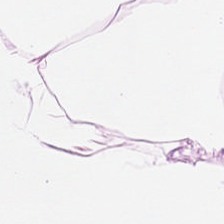0.5 µm per pixel · hematoxylin and eosin — Q: Classify this patch.
A: The field shows adipose tissue.
